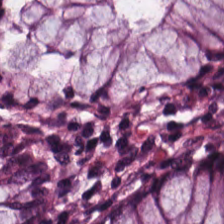Stain: H&E-stained tissue section.
Tile size: 224×224 px tile.
Resolution: 20× equivalent magnification.
Classification: non-neoplastic colon mucosa.
